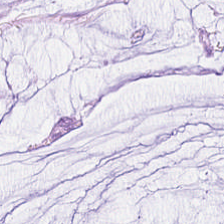H&E-stained tissue section — Q: Identify the tissue.
A: It is extracellular mucin.
